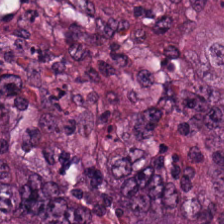224×224 px patch · hematoxylin-and-eosin stained section. Impression — adenocarcinoma.
